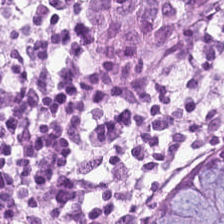H&E stain · brightfield microscopy.
The predominant tissue is benign colonic mucosa.
